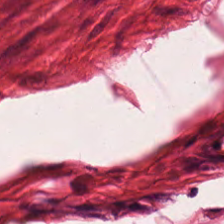Hematoxylin-and-eosin stained section.
Tissue class — muscularis.
